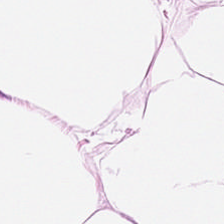H&E. Fat tissue.
